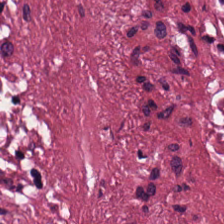Tissue class — desmoplastic stroma.
